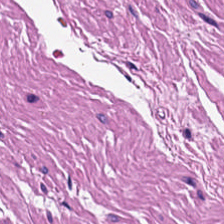H&E stain. This field is smooth-muscle tissue.
